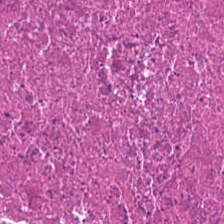H&E. Tissue type = debris.
